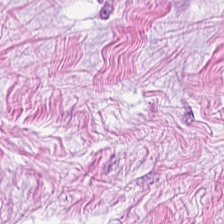H&E-stained tissue section.
Tissue type = desmoplastic stroma.
